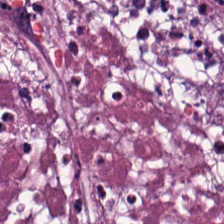Stain: hematoxylin-and-eosin stained section.
Predominant tissue: necrotic debris.
